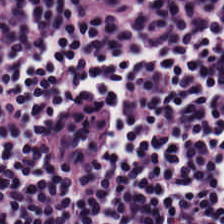H&E stain.
The tissue here is lymphoid infiltrate.
